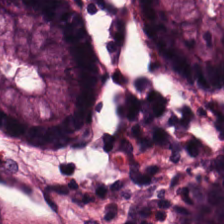Hematoxylin-and-eosin stained section — This patch shows normal colonic mucosa.
